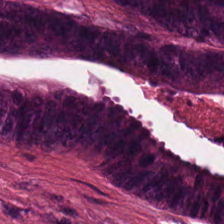Hematoxylin and eosin. 224×224 pixel tile. Q: What type of tissue is this?
A: This is colorectal adenocarcinoma.
